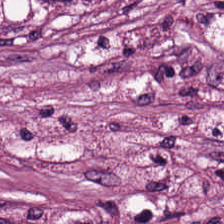This field is tumor stroma.
